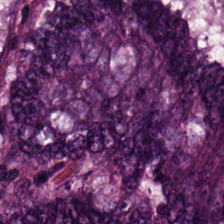Stain: H&E-stained tissue section.
Classification: malignant epithelium.
